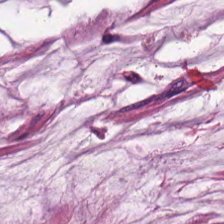Q: Classify this patch.
A: Mucus.
